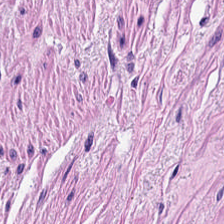WSI patch. H&E. Predominantly smooth-muscle tissue.
